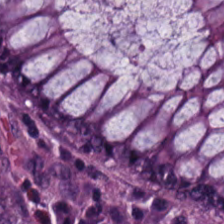WSI patch; H&E stain — Showing non-neoplastic colon mucosa.
